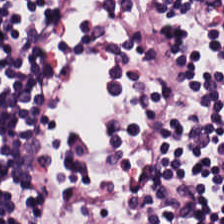Whole-slide-image patch · H&E-stained tissue section · FFPE tissue section. Lymphocyte aggregate.
